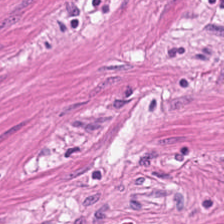H&E stain · brightfield microscopy · 20× equivalent magnification. Muscularis.
